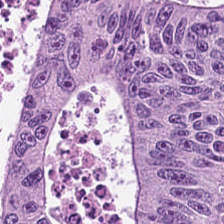Stain: hematoxylin and eosin.
Resolution: 0.5 µm per pixel.
Tile size: 224×224 px tile.
Predominant tissue: colorectal adenocarcinoma.
